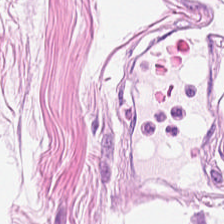H&E.
Classification: adipose tissue.
